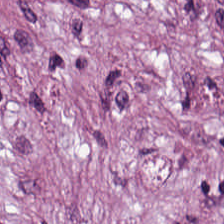H&E stain; formalin-fixed paraffin-embedded section; brightfield microscopy. Tissue class: cancer-associated stroma.
